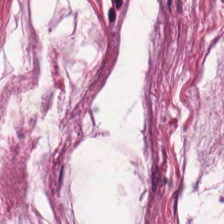224×224 px patch; H&E; brightfield microscopy — The predominant tissue is extracellular mucin.
